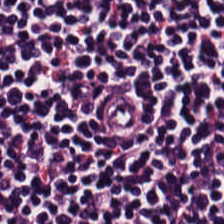Impression — lymphocytes.
